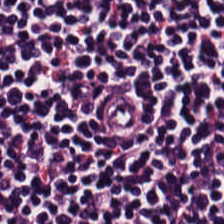Impression — lymphocytes.
